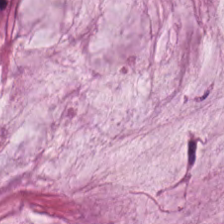The tissue here is mucin.
